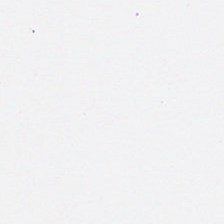Hematoxylin and eosin.
Content: empty background.
